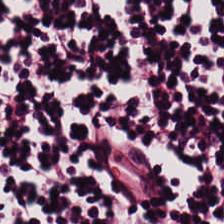Showing lymphocyte aggregate.
